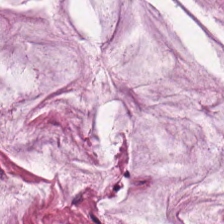H&E-stained tissue section. This field is mucin.
